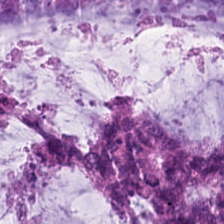Hematoxylin and eosin · 224×224 px patch · FFPE tissue section.
Tissue: mucin.
